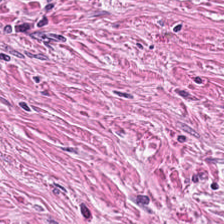224×224 px tile; 0.5 µm per pixel; H&E stain.
Q: What is shown in this field?
A: Desmoplastic stroma.
